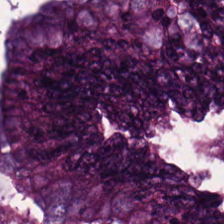Hematoxylin and eosin.
Predominant tissue — malignant epithelium.
